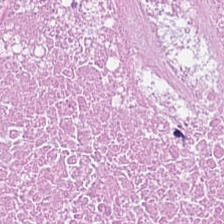Q: What tissue is shown?
A: This is cellular debris.
